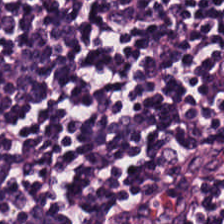Formalin-fixed paraffin-embedded section · hematoxylin-and-eosin stained section.
This field is lymphocyte aggregate.
